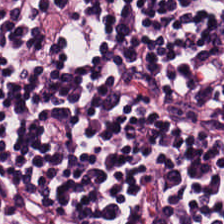H&E stain — This field is lymphocytes.
